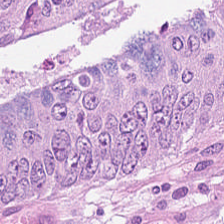FFPE tissue section; hematoxylin-and-eosin stained section; 20× equivalent magnification — {"tissue_type": "colorectal adenocarcinoma epithelium"}
